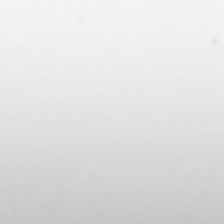H&E stain. Impression — background.
